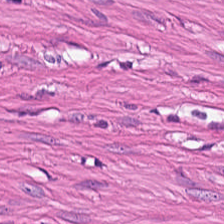H&E stain. Showing muscularis.
